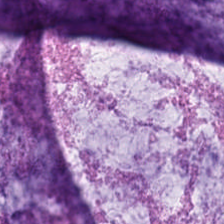H&E-stained tissue section. Finding → mucus.
